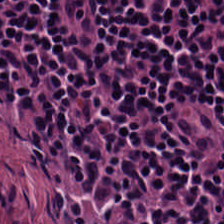Stain: hematoxylin and eosin.
Tissue type: lymphoid infiltrate.
